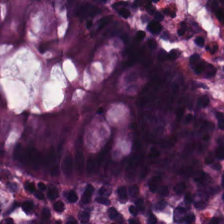H&E stain.
Predominantly benign colonic mucosa.
